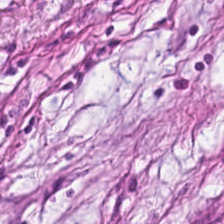FFPE; hematoxylin and eosin. This patch shows tumor-associated stroma.
